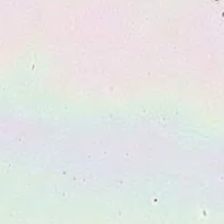H&E stain. Background — no tissue in this field.
